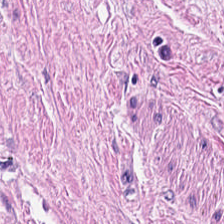Stain: H&E-stained tissue section.
Tissue class: smooth-muscle tissue.
